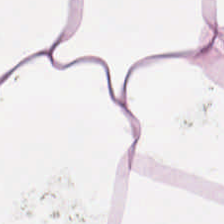FFPE; 0.5 µm/px; hematoxylin and eosin. Predominantly adipocytes.
